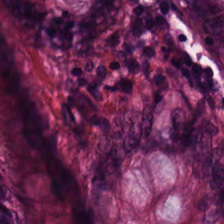H&E. Whole-slide-image patch — Histology — non-neoplastic colon mucosa.
